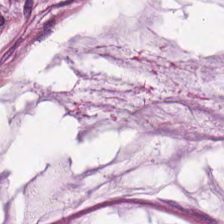Hematoxylin and eosin; whole-slide-image patch; 224×224 px tile.
Q: What tissue type is shown here?
A: It is mucus.
